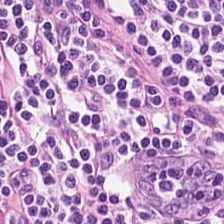Formalin-fixed paraffin-embedded section; 0.5 microns per pixel; H&E stain — Predominant tissue = lymphocytes.
